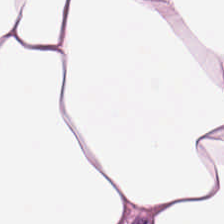H&E-stained tissue section.
Adipose tissue.
